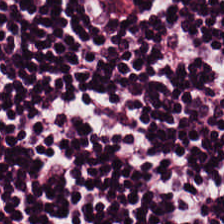224×224 px tile. H&E-stained tissue section.
The tissue class is lymphocytes.
